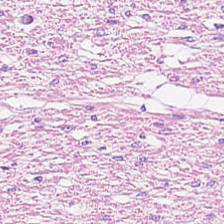Predominant tissue = muscularis.
